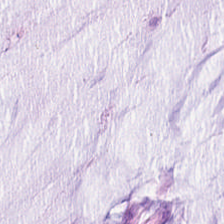Tissue: extracellular mucin.
